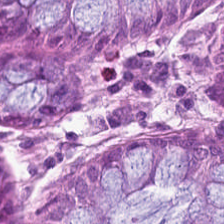Stain: H&E stain.
Tissue class: normal colon mucosa.
